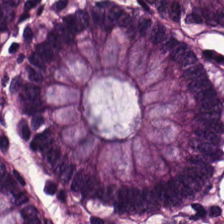Stain: H&E stain.
Tile size: 224×224 px patch.
Preparation: FFPE.
Classification: normal colon mucosa.
